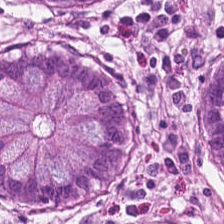Hematoxylin-and-eosin section: normal colon mucosa.
